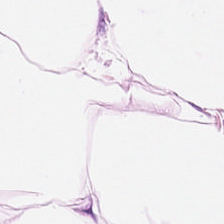Impression → adipose.
